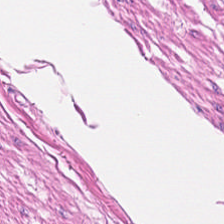Stain: H&E-stained tissue section.
Tissue type: muscularis.
